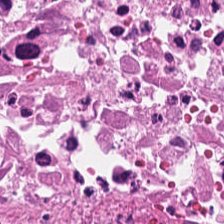0.5 µm per pixel · hematoxylin-and-eosin stained section · 224×224 px tile.
The predominant tissue is debris.
